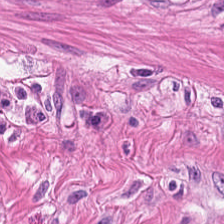0.5 µm/px; hematoxylin-and-eosin stained section. Predominant tissue: smooth muscle.
